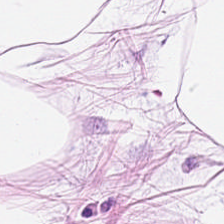FFPE tissue section. H&E. Predominantly adipose tissue.
